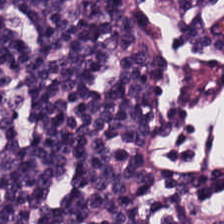H&E-stained section; the field shows lymphocyte aggregate.
